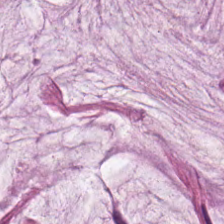Impression — extracellular mucin.
